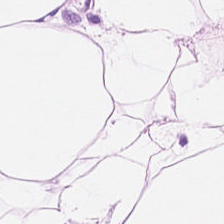Stain: H&E stain.
Predominant tissue: adipocytes.
